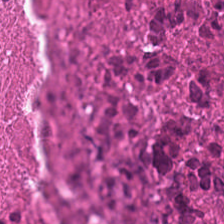Hematoxylin and eosin.
Predominant tissue = cellular debris.
